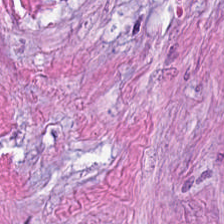H&E. WSI patch. Impression — desmoplastic stroma.
